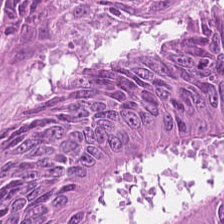Brightfield; H&E stain — Classification = adenocarcinoma.
